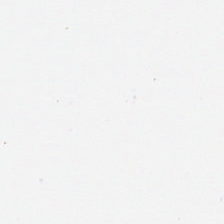This patch shows background (no tissue).
